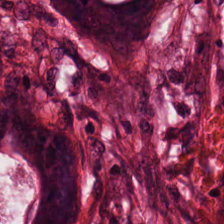Malignant epithelium.
